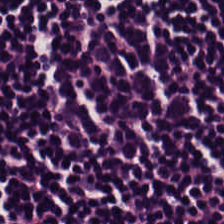Hematoxylin and eosin · WSI patch.
Tissue type: lymphocytic infiltrate.
